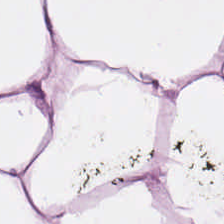H&E stain.
Adipose.
